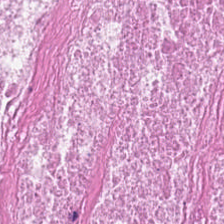H&E stain.
Predominantly debris.
